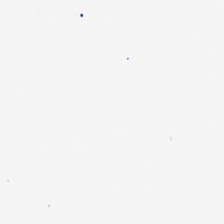Classification: empty background.
